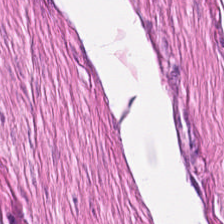H&E-stained tissue section.
Finding → smooth muscle.
